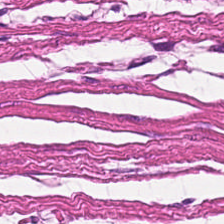Hematoxylin-and-eosin stained section. Tissue class = smooth muscle.
